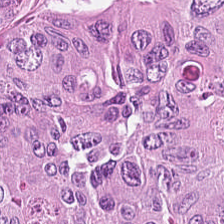Hematoxylin-and-eosin section: malignant epithelium.
